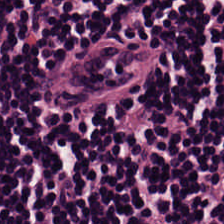H&E stain — This patch shows lymphoid infiltrate.
